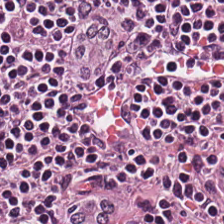H&E stain; 0.5 µm per pixel — {"tissue_type": "lymphocytic infiltrate"}
